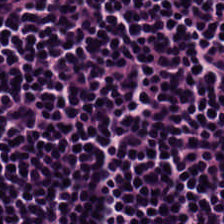H&E stain. The predominant tissue is lymphocyte aggregate.
